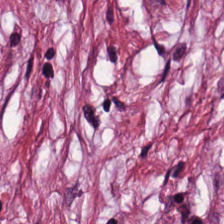0.5 microns per pixel; H&E — The tissue class is tumor stroma.
